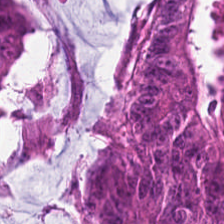Q: Classify this patch.
A: The field shows colorectal adenocarcinoma epithelium.
